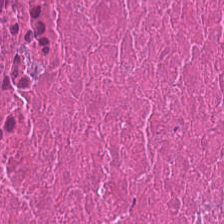0.5 µm/px · H&E-stained tissue section. This field is cellular debris.
